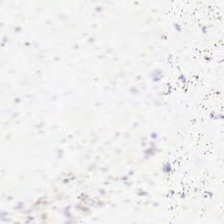H&E.
This patch shows background.
